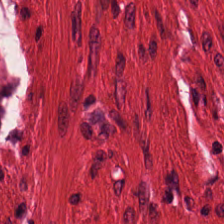H&E stain. This patch shows smooth-muscle tissue.
